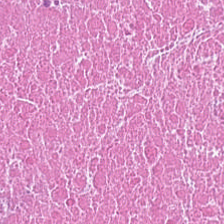FFPE; 224×224 pixel tile; hematoxylin and eosin. Showing debris.
